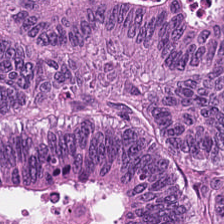Hematoxylin and eosin; 0.5 microns per pixel; 224×224 px patch — Predominantly malignant epithelium.
